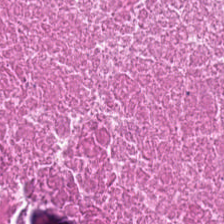Q: Classify this patch.
A: Cellular debris.
